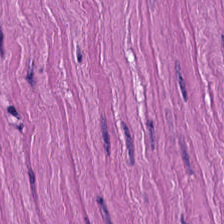H&E. This field is muscularis.
